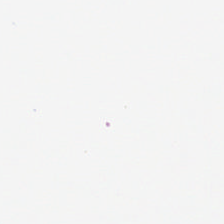H&E stain.
Histology — background (no tissue).
